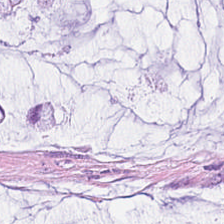H&E-stained tissue section.
Tissue — mucin.
